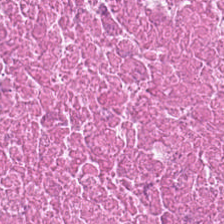Hematoxylin-and-eosin stained section — Showing necrotic debris.
